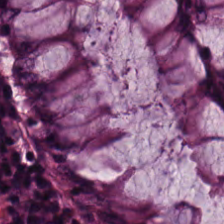Hematoxylin and eosin — Predominant tissue — non-neoplastic colon mucosa.
